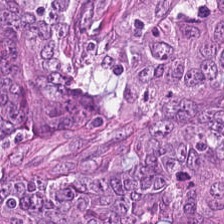Hematoxylin-and-eosin stained section; 0.5 microns per pixel; formalin-fixed paraffin-embedded section — This field is malignant epithelium.
